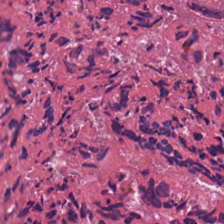Brightfield; H&E; 224×224 px tile.
Tissue = debris.
